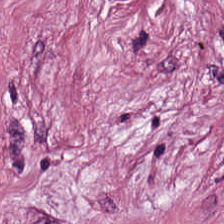H&E · 224×224 pixel tile — Showing cancer-associated stroma.
